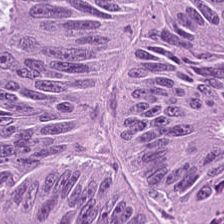H&E stain — Malignant epithelium.
